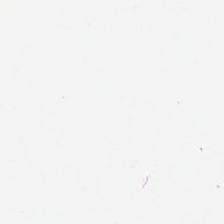H&E-stained tissue section · 224×224 px tile. No tissue present; background only.
